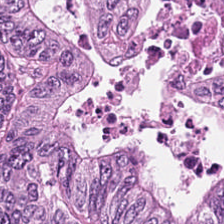H&E — Q: What tissue is shown?
A: Adenocarcinoma.
